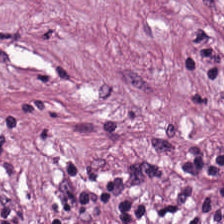H&E stain. The predominant tissue is tumor stroma.
